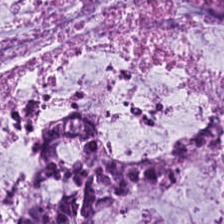Q: What tissue type is shown here?
A: It is mucin.
